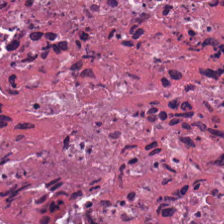224×224 px patch · hematoxylin-and-eosin stained section — Finding — cellular debris.
